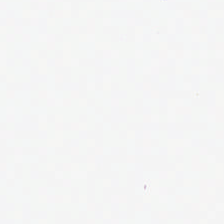H&E. 224×224 px tile. Brightfield microscopy — Finding — no tissue.
